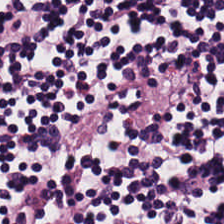Hematoxylin and eosin. Q: What tissue type is shown here?
A: Lymphoid infiltrate.
